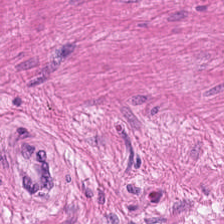Predominant tissue: muscularis.
